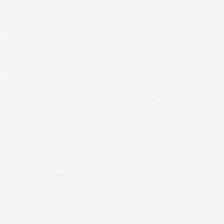Stain: H&E.
Content: empty background.
